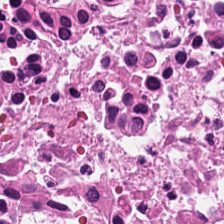H&E.
Finding — debris.
